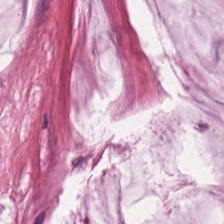H&E stain · FFPE tissue section · brightfield microscopy.
Q: Identify the tissue.
A: The field shows extracellular mucin.
